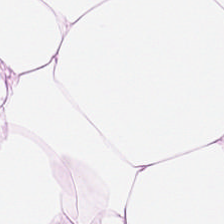FFPE. Hematoxylin-and-eosin stained section. Predominantly fat tissue.
